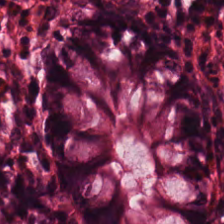H&E stain — Tissue type — non-neoplastic colon mucosa.
